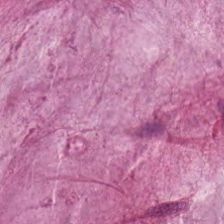20× equivalent magnification · FFPE · hematoxylin and eosin — Finding — mucin.
